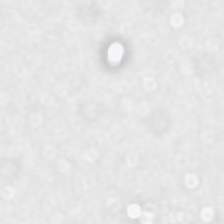224×224 pixel tile. Hematoxylin and eosin — Impression — background (no tissue).
